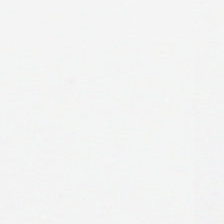H&E-stained tissue section. 224×224 px tile — The classification is empty background.
